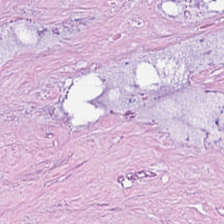H&E — Tissue type — necrotic debris.
